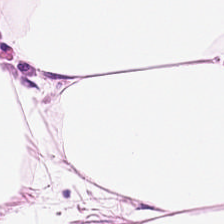H&E stain. Tissue type — adipose.
